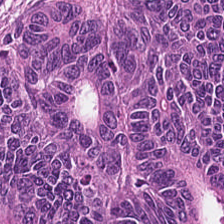Hematoxylin and eosin.
Tissue type: adenocarcinoma.
